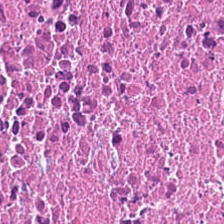Stain: hematoxylin and eosin.
Classification: debris.
